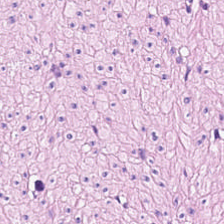H&E. Smooth-muscle tissue.
